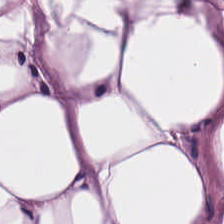{"tissue_type": "fat tissue"}
